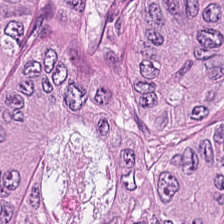Tissue = colorectal adenocarcinoma.
